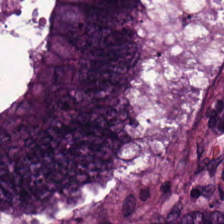Hematoxylin and eosin. The tissue here is tumor epithelium.
